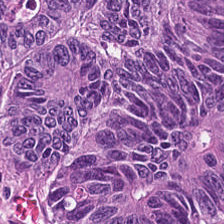0.5 µm/px; H&E-stained tissue section; whole-slide-image patch.
This patch shows tumor epithelium.
